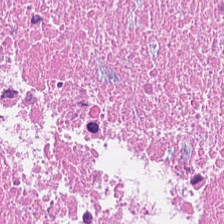H&E stain. Necrotic debris.
